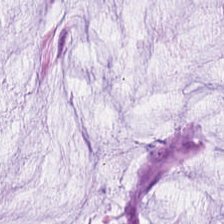H&E stain · 224×224 px patch · brightfield.
The tissue here is extracellular mucin.
